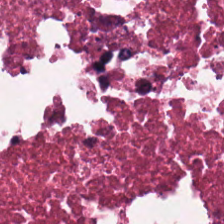H&E. The tissue here is cellular debris.
